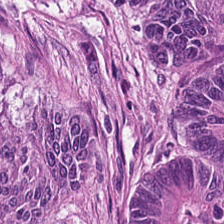FFPE. Whole-slide-image patch. Hematoxylin and eosin — Showing tumor epithelium.
